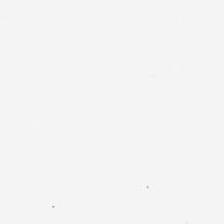H&E · FFPE tissue section · 224×224 px tile — The field content is no tissue.
